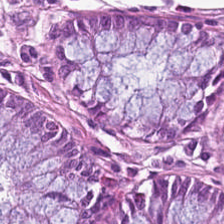H&E-stained tissue section — Q: Identify the tissue.
A: Non-neoplastic colon mucosa.
